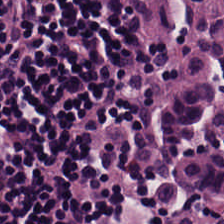H&E-stained tissue section.
Histology — lymphocytes.
